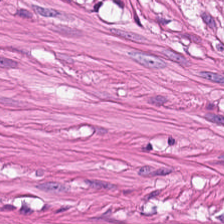Stain: H&E-stained tissue section.
Preparation: FFPE tissue section.
Acquisition: brightfield microscopy.
Tissue type: smooth-muscle tissue.
